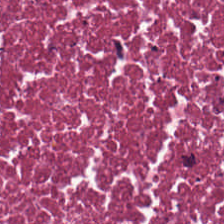{"tissue_type": "cellular debris"}
